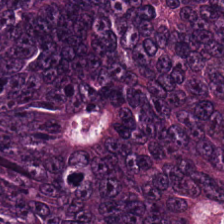H&E-stained tissue section · 20× equivalent magnification · 224×224 px patch. Q: What is the predominant tissue type?
A: It is colorectal adenocarcinoma.
